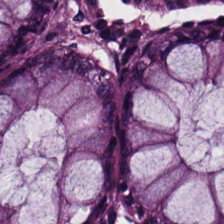FFPE tissue section; H&E stain; 0.5 µm/px. Tissue type = non-neoplastic colon mucosa.
